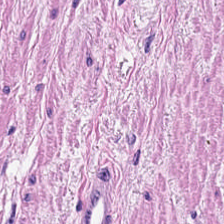Hematoxylin and eosin.
Tissue class — muscularis.
